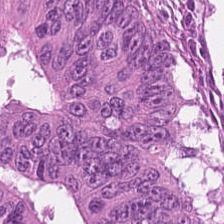H&E stain. Q: Identify the tissue.
A: The field shows colorectal adenocarcinoma epithelium.
